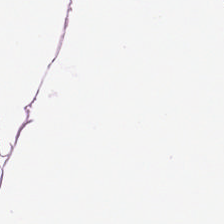H&E-stained section; the field shows adipose.
